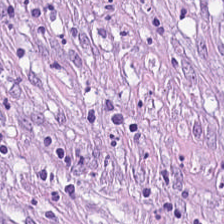H&E stain.
Impression → desmoplastic stroma.
